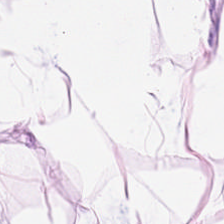Hematoxylin-and-eosin stained section.
The tissue class is adipocytes.
